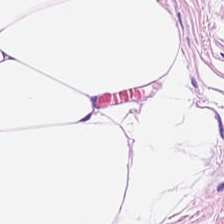Stain: H&E.
Tissue type: adipocytes.
